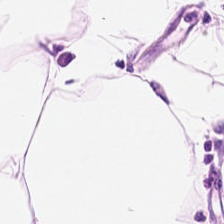Stain: hematoxylin and eosin.
Predominant tissue: fat tissue.
